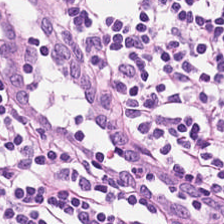Impression → lymphoid infiltrate.
